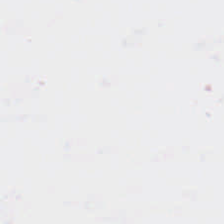H&E-stained tissue section.
Q: Classify this patch.
A: Background (no tissue).
